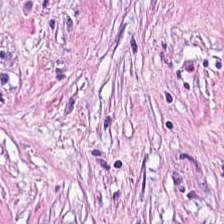H&E stain.
This patch shows tumor-associated stroma.
